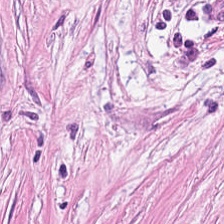H&E-stained tissue section.
This field is tumor-associated stroma.
